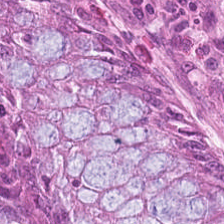Hematoxylin-and-eosin stained section · 224×224 pixel tile.
The tissue class is normal colonic mucosa.
